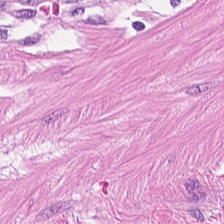H&E. WSI patch — This patch shows smooth-muscle tissue.
